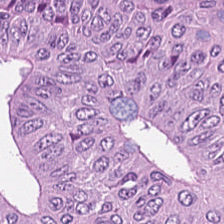Stain: H&E stain.
Classification: adenocarcinoma.
